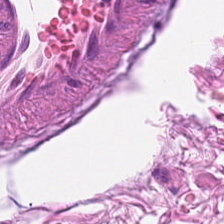Formalin-fixed paraffin-embedded section · hematoxylin and eosin — Predominantly smooth muscle.
